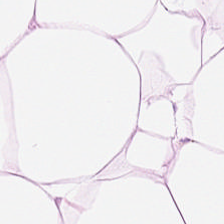Tissue: adipose.
